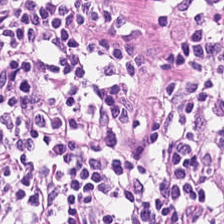Stain: hematoxylin and eosin.
Predominant tissue: lymphoid infiltrate.
